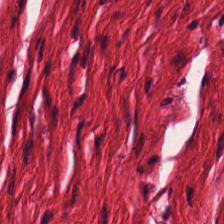Hematoxylin-and-eosin section: smooth-muscle tissue.
